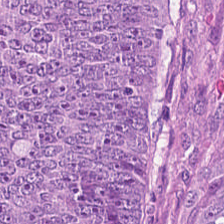H&E. 224×224 pixel tile. Formalin-fixed paraffin-embedded section.
Tissue type: tumor epithelium.
